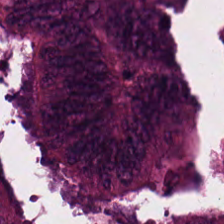20× equivalent magnification; hematoxylin-and-eosin stained section.
The predominant tissue is tumor epithelium.
